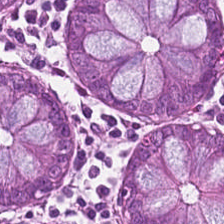H&E.
Histology → non-neoplastic colon mucosa.
